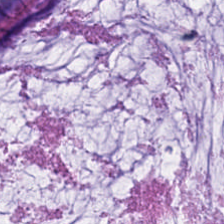FFPE tissue section. Brightfield microscopy. Hematoxylin-and-eosin stained section. This field is mucin.
